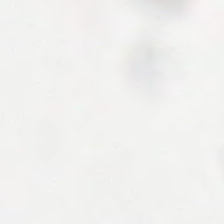Whole-slide-image patch; FFPE; H&E stain. This field is background (no tissue).
